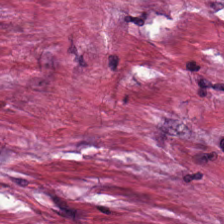Hematoxylin-and-eosin stained section — {"tissue_type": "tumor stroma"}
